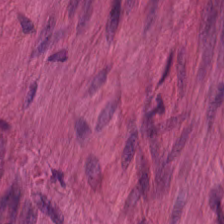H&E-stained tissue section.
Q: Classify this patch.
A: This is smooth-muscle tissue.
